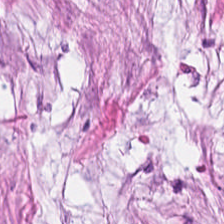Desmoplastic stroma.
